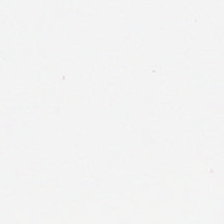No tissue present; background only.
